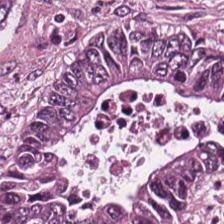H&E; brightfield.
Tissue: colorectal adenocarcinoma.
